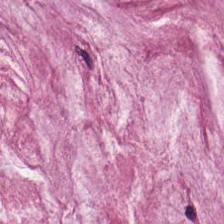Tissue type — extracellular mucin.
